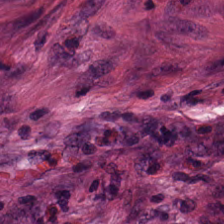Formalin-fixed paraffin-embedded section · hematoxylin-and-eosin stained section. Showing cancer-associated stroma.
